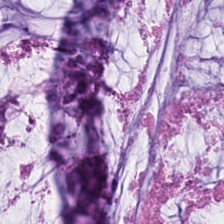FFPE; hematoxylin-and-eosin stained section; whole-slide-image patch — Mucin.
